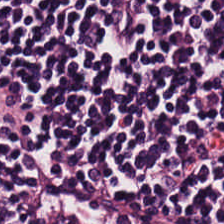FFPE tissue section; H&E — Q: What is the predominant tissue type?
A: Lymphoid infiltrate.
